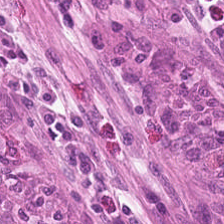H&E-stained tissue section. Q: What is the predominant tissue type?
A: Normal colon mucosa.
